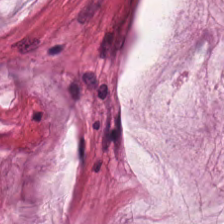Q: Classify this patch.
A: The field shows mucus.
